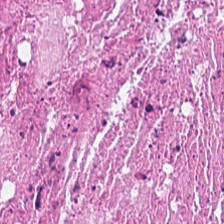H&E patch showing debris.
